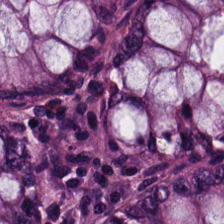Finding → normal colon mucosa.
